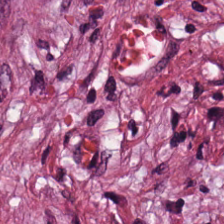H&E stain · formalin-fixed paraffin-embedded section · 224×224 pixel tile — Q: Classify this patch.
A: Desmoplastic stroma.
